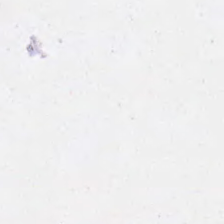Hematoxylin and eosin — The classification is no tissue.
